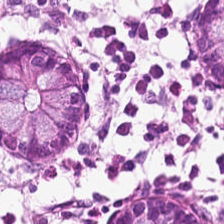H&E-stained tissue section. The tissue type is non-neoplastic colon mucosa.
